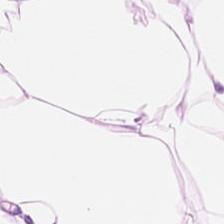Hematoxylin-and-eosin stained section.
Histology → adipocytes.
